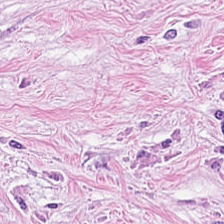Hematoxylin and eosin; FFPE — Desmoplastic stroma.
